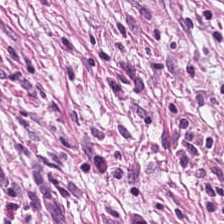H&E stain · whole-slide-image patch.
Classification: desmoplastic stroma.
